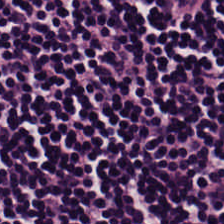Hematoxylin-and-eosin stained section.
Tissue type — lymphoid infiltrate.
